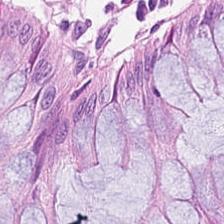Showing normal colon mucosa.
